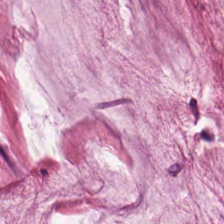The tissue here is mucus.
